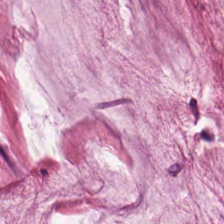The tissue here is mucus.
